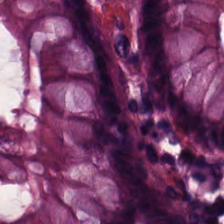Hematoxylin-and-eosin stained section. This field is normal colon mucosa.
